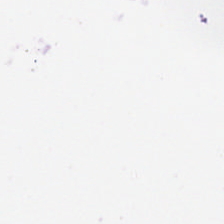224×224 px tile. H&E-stained tissue section.
Field content: empty background.
